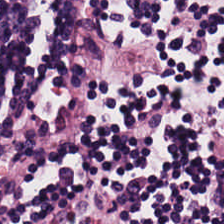H&E stain — Predominant tissue = lymphocytes.
